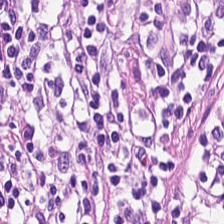Hematoxylin and eosin — Predominantly lymphocyte aggregate.
